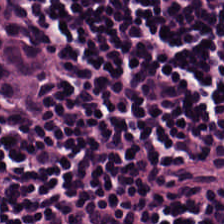Stain: H&E stain.
Tissue class: lymphocytes.
